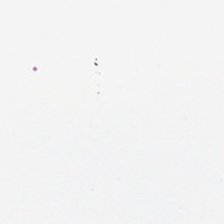Hematoxylin-and-eosin stained section.
Q: Classify this patch.
A: It is background.
